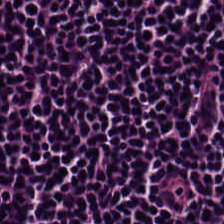H&E-stained tissue section — Q: What is shown in this field?
A: This is lymphocytic infiltrate.
